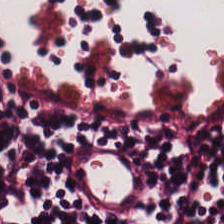Q: What is shown in this field?
A: The field shows lymphocytic infiltrate.
